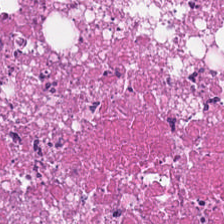H&E stain.
Q: What is shown here?
A: This is debris.
